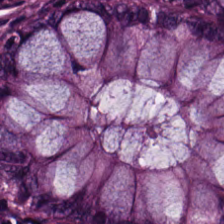Hematoxylin and eosin. Formalin-fixed paraffin-embedded section. Tissue type: normal colonic mucosa.
